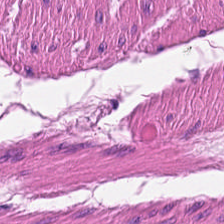Hematoxylin-and-eosin section: smooth-muscle tissue.
